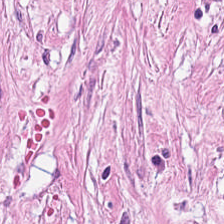Showing desmoplastic stroma.
